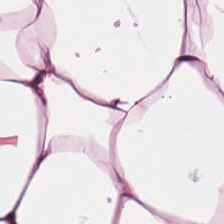Formalin-fixed paraffin-embedded section; hematoxylin and eosin; whole-slide-image patch — Predominant tissue = adipocytes.
